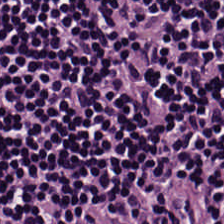H&E stain — Tissue type: lymphocytic infiltrate.
